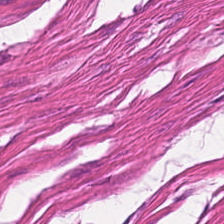The predominant tissue is muscularis.
